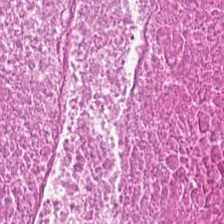H&E. Brightfield — The tissue here is necrotic debris.
